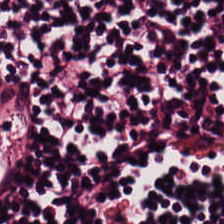Hematoxylin and eosin — Classification — lymphoid infiltrate.
